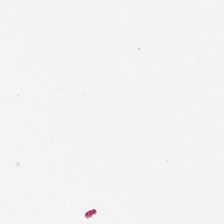Hematoxylin and eosin. The content is empty background.
